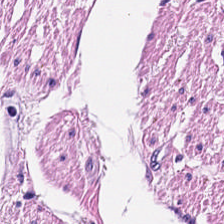FFPE tissue section. H&E-stained tissue section.
Predominant tissue: muscularis.
